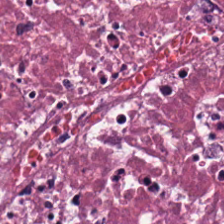Predominant tissue = cellular debris.
